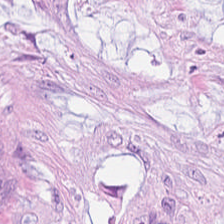Q: What is the predominant tissue type?
A: It is colorectal adenocarcinoma epithelium.
